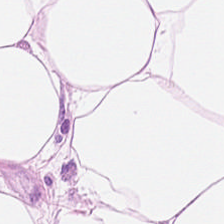Hematoxylin-and-eosin stained section · FFPE tissue section. Histology — adipose tissue.
